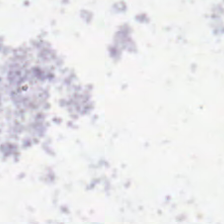Hematoxylin and eosin; formalin-fixed paraffin-embedded section; 0.5 µm per pixel. This field is background (no tissue).
